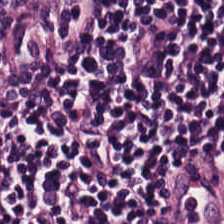H&E stain.
The predominant tissue is lymphoid infiltrate.
